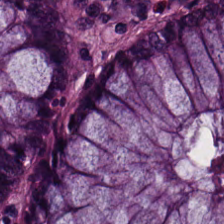H&E-stained tissue section. Q: What is the predominant tissue type?
A: Benign colonic mucosa.
